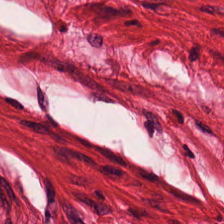Whole-slide-image patch; H&E stain — Tissue type = smooth-muscle tissue.
